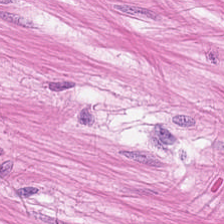Stain: hematoxylin and eosin.
Tissue class: smooth muscle.
